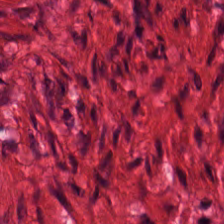FFPE tissue section. H&E — Showing smooth muscle.
